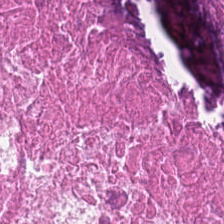224×224 px patch · hematoxylin-and-eosin stained section. The predominant tissue is cellular debris.
